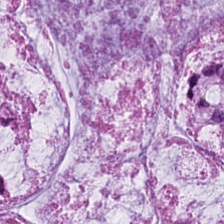Stain: H&E stain.
Tissue class: mucus.
